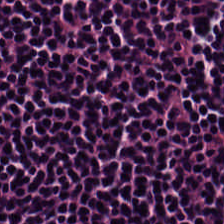Stain: hematoxylin-and-eosin stained section.
Acquisition: brightfield.
Resolution: 0.5 µm/px.
Tissue type: lymphoid infiltrate.
